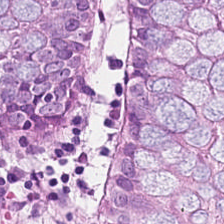{"tissue_type": "normal colonic mucosa"}
